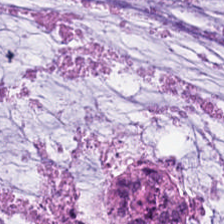H&E-stained tissue section. 0.5 microns per pixel. Tissue class = mucus.
